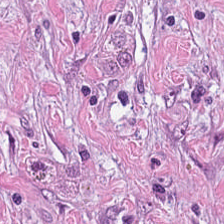This field is tumor stroma.
